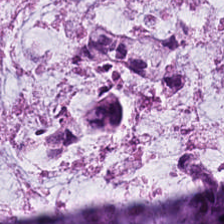Stain: H&E stain.
Tile size: 224×224 pixel tile.
Acquisition: WSI patch.
Tissue class: extracellular mucin.
